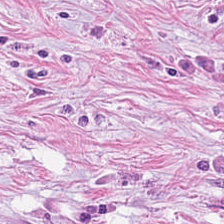224×224 px tile; FFPE; H&E stain — Histology → tumor stroma.
